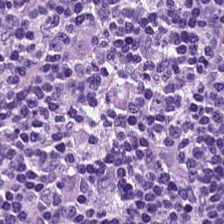{"tissue_type": "lymphocyte aggregate"}
